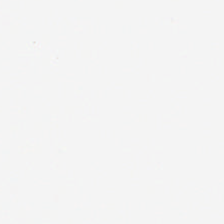H&E stain.
Impression → background (no tissue).
